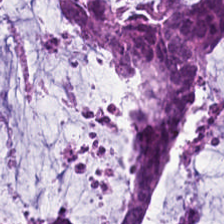Hematoxylin and eosin — Tissue class — extracellular mucin.
